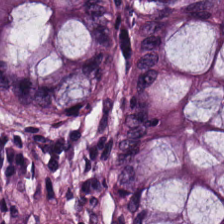Whole-slide-image patch. Hematoxylin and eosin — This field is non-neoplastic colon mucosa.
